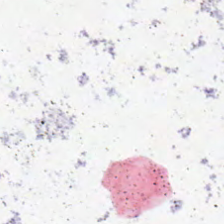Hematoxylin-and-eosin stained section. Whole-slide-image patch. FFPE. Field content: background.
